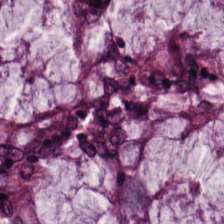H&E.
Showing normal colon mucosa.
